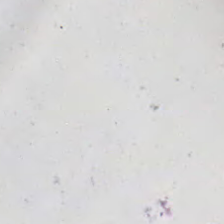Hematoxylin-and-eosin stained section. Q: Classify this patch.
A: Background.
